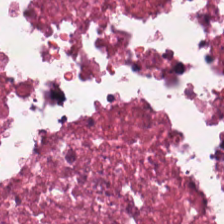Hematoxylin and eosin. Histology — necrotic debris.
